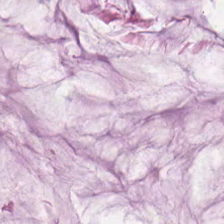H&E-stained tissue section. Q: Identify the tissue.
A: The field shows extracellular mucin.
